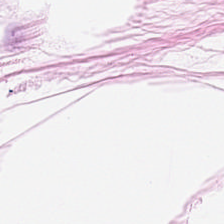FFPE tissue section. H&E. This patch shows fat tissue.
